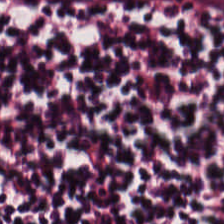Stain: H&E stain.
Preparation: FFPE.
Tissue class: lymphocytes.
